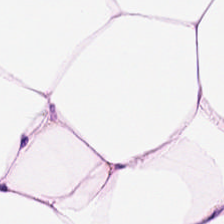Hematoxylin and eosin — Predominant tissue = adipose tissue.
